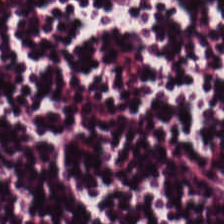0.5 µm per pixel; H&E-stained tissue section — {"tissue_type": "lymphoid infiltrate"}
